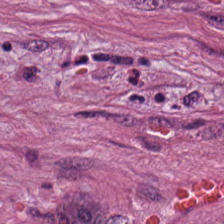H&E-stained tissue section. Predominantly cancer-associated stroma.
